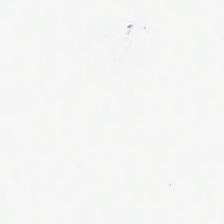H&E stain. Content: background.
